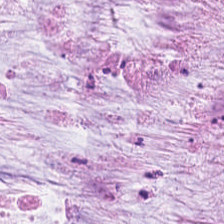Hematoxylin and eosin — Predominant tissue — mucin.
